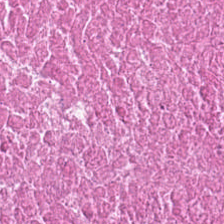224×224 px tile · hematoxylin-and-eosin stained section — This patch shows debris.
